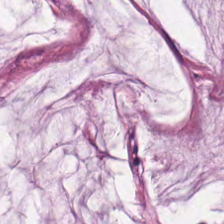The predominant tissue is extracellular mucin.
